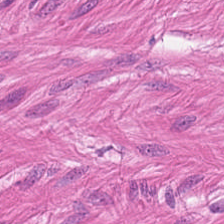224×224 px tile · H&E stain · 0.5 µm per pixel.
Histology — muscularis.
